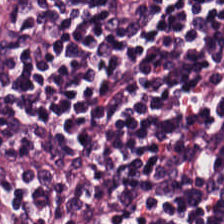224×224 px tile. H&E stain. This patch shows lymphocytic infiltrate.
